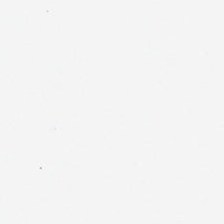Stain: H&E.
Field content: empty background.
